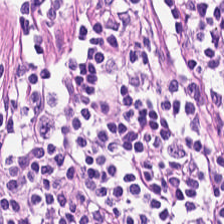Hematoxylin-and-eosin stained section — This patch shows lymphocytic infiltrate.
